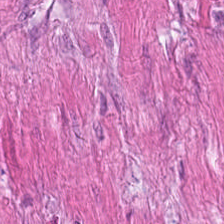Histology → muscularis.
